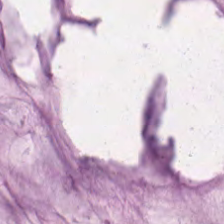Showing mucus.
